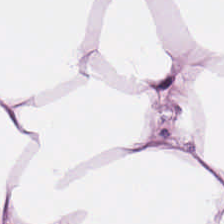H&E stain. Whole-slide-image patch. Showing fat tissue.
